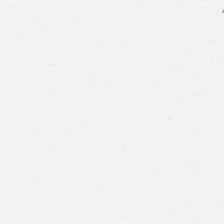20× equivalent magnification; FFPE tissue section; hematoxylin-and-eosin stained section — Classification: no tissue.
